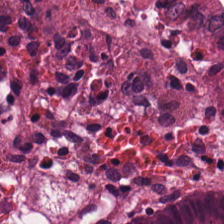H&E-stained tissue section — Q: What tissue type is shown here?
A: Normal colon mucosa.
